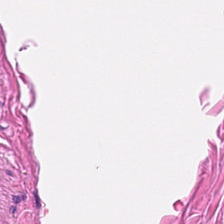Hematoxylin-and-eosin stained section · 224×224 px patch. Showing smooth muscle.
